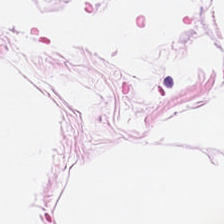The tissue type is fat tissue.
